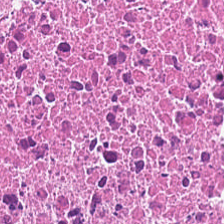Hematoxylin and eosin.
The predominant tissue is necrotic debris.
